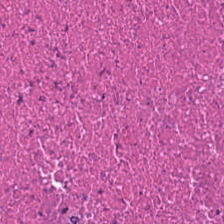Hematoxylin and eosin · brightfield microscopy · 0.5 µm/px. Predominantly necrotic debris.
